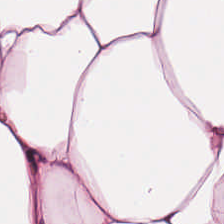Showing adipocytes.
